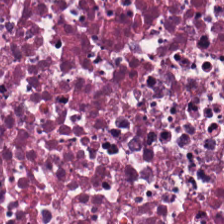WSI patch. H&E stain — Impression — cellular debris.
